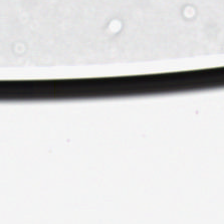H&E.
Q: What is shown here?
A: Empty background.
